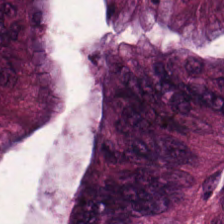Hematoxylin-and-eosin stained section. Classification — tumor epithelium.
